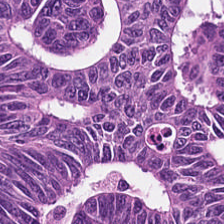H&E — adenocarcinoma.
